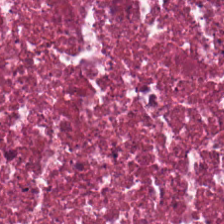Hematoxylin and eosin. This field is cellular debris.
